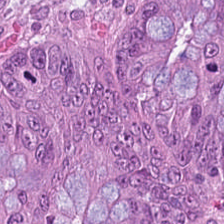Q: What type of tissue is this?
A: The field shows colorectal adenocarcinoma epithelium.
